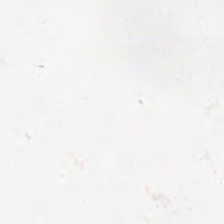H&E stain · whole-slide-image patch.
No tissue present; background only.
